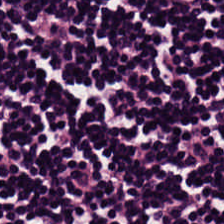H&E stain; whole-slide-image patch — Tissue — lymphocytic infiltrate.
